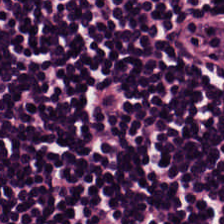H&E-stained tissue section. Tissue — lymphocytic infiltrate.
